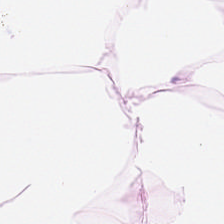Hematoxylin-and-eosin stained section. Adipose tissue.
